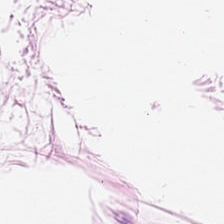This field is fat tissue.
